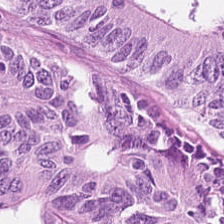H&E stain — Q: What is shown here?
A: It is colorectal adenocarcinoma epithelium.
